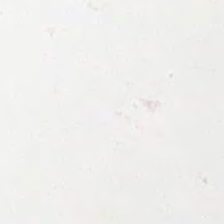H&E · 224×224 px patch. No tissue present; background only.
